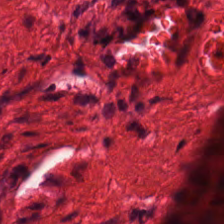This field is smooth-muscle tissue.
